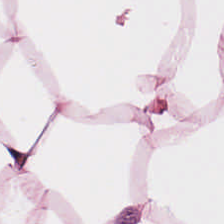Adipose tissue.
